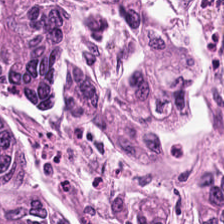224×224 px patch; WSI patch; hematoxylin and eosin — The predominant tissue is colorectal adenocarcinoma epithelium.
